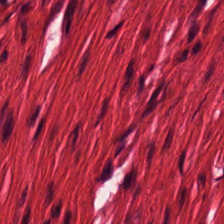Stain: hematoxylin-and-eosin stained section.
Tissue: smooth muscle.
